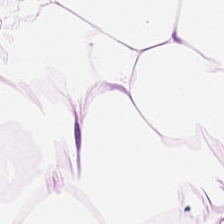H&E-stained tissue section; 224×224 px patch. Adipose tissue.
